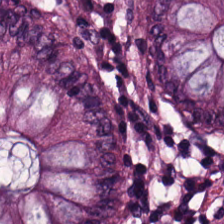H&E — normal colon mucosa.
